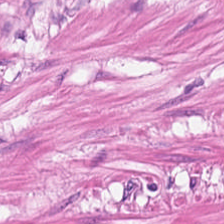224×224 pixel tile · WSI patch · hematoxylin and eosin.
The tissue here is muscularis.
